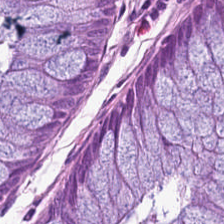Histology → normal colonic mucosa.
